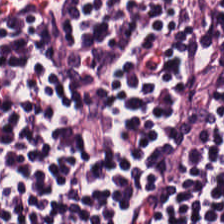H&E.
Showing lymphocyte aggregate.
